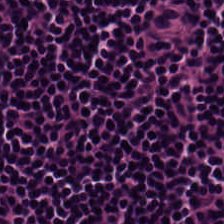Stain: H&E stain.
Tissue type: lymphocytic infiltrate.
